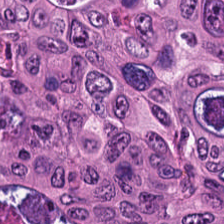H&E; 0.5 µm/px. Impression → tumor epithelium.
